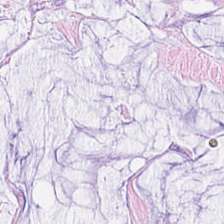The tissue type is mucus.
